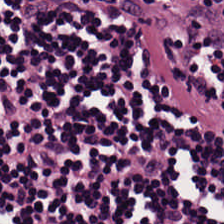Hematoxylin-and-eosin stained section.
Tissue class = lymphocytic infiltrate.
